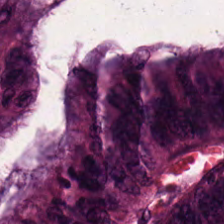Finding — colorectal adenocarcinoma epithelium.
